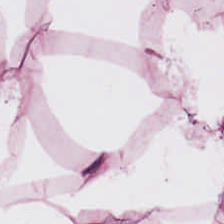H&E stain.
Tissue type: adipose.
